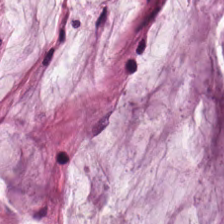FFPE tissue section · hematoxylin and eosin — Predominantly extracellular mucin.
